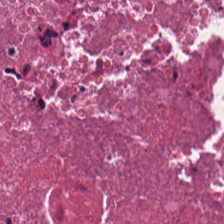224×224 pixel tile. H&E. Predominant tissue — cellular debris.
